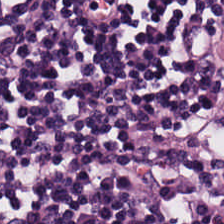H&E; brightfield microscopy. Classification — lymphoid infiltrate.
